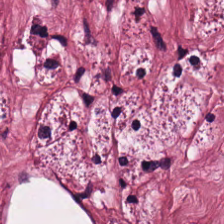Q: What type of tissue is this?
A: This is desmoplastic stroma.
